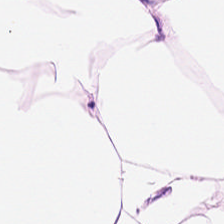FFPE tissue section; H&E-stained tissue section.
Predominantly adipose tissue.
